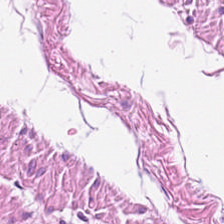Stain: H&E-stained tissue section.
Tissue type: muscularis.
